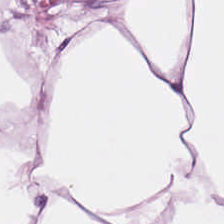H&E stain. Showing fat tissue.
